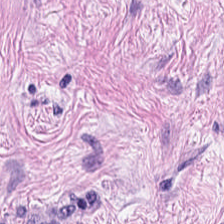H&E stain.
Classification: tumor-associated stroma.
